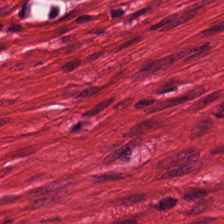Stain: H&E stain.
Tile size: 224×224 px tile.
Tissue type: muscularis.
